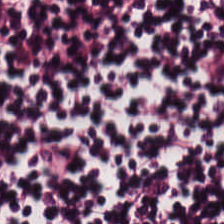224×224 pixel tile. Hematoxylin-and-eosin stained section. The tissue type is lymphocytes.
